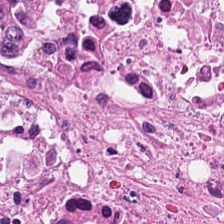H&E-stained tissue section. 224×224 px patch. Showing debris.
